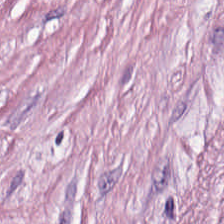H&E stain; FFPE. Q: Classify this patch.
A: The field shows tumor stroma.
